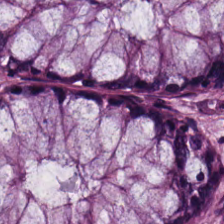H&E · 224×224 pixel tile.
This field is normal colonic mucosa.
